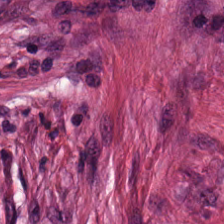H&E-stained tissue section; 0.5 µm/px.
The predominant tissue is tumor-associated stroma.
